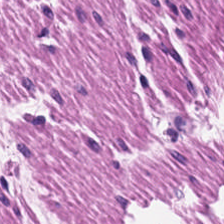20× equivalent magnification. Hematoxylin-and-eosin stained section. The predominant tissue is smooth muscle.
